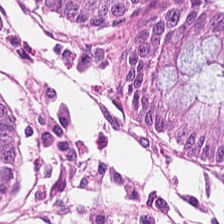Hematoxylin and eosin. 0.5 µm per pixel — Normal colonic mucosa.
